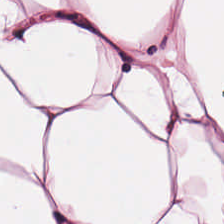The classification is adipocytes.
